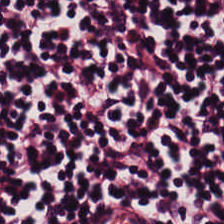Hematoxylin-and-eosin stained section; FFPE tissue section — Predominantly lymphocyte aggregate.
